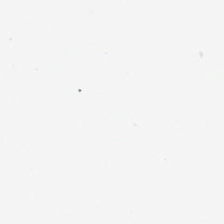H&E stain; 20× equivalent magnification — Finding — background.
